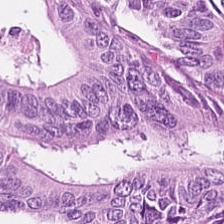H&E stain. This field is colorectal adenocarcinoma.
